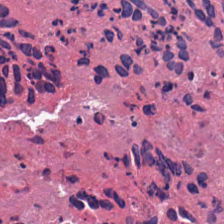This field is debris.
